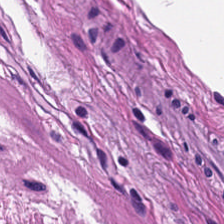Impression → smooth muscle.
